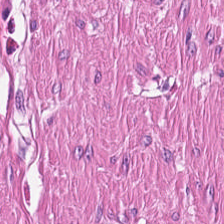Formalin-fixed paraffin-embedded section. H&E stain. 0.5 µm/px — Smooth-muscle tissue.
